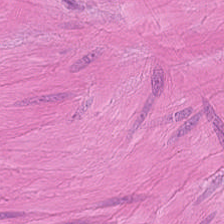Hematoxylin and eosin. 224×224 pixel tile. Predominant tissue — muscularis.
